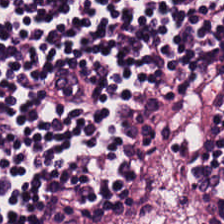H&E-stained tissue section — Tissue type: lymphocytes.
